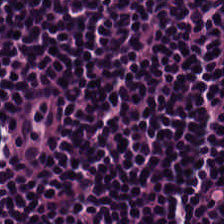H&E stain; formalin-fixed paraffin-embedded section — Q: What is the predominant tissue type?
A: The field shows lymphocytes.
